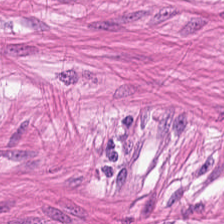Formalin-fixed paraffin-embedded section; 0.5 microns per pixel; H&E-stained tissue section. Showing muscularis.
